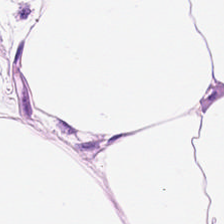Classification — adipose.
